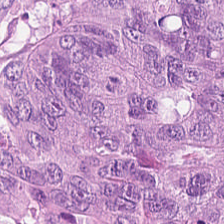This field is colorectal adenocarcinoma.
